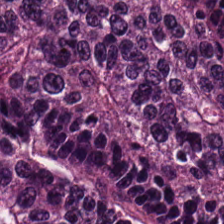H&E stain. 20× equivalent magnification. 224×224 pixel tile. Tissue — colorectal adenocarcinoma.
